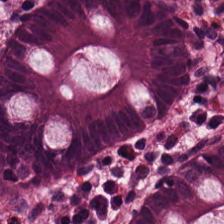H&E stain. Classification: benign colonic mucosa.
